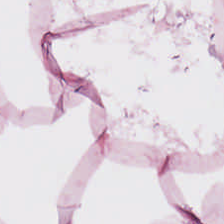H&E stain; 224×224 px patch.
Tissue class — adipocytes.
